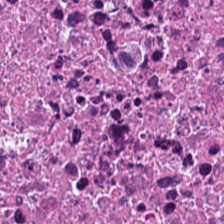Hematoxylin and eosin. Tissue: cellular debris.
